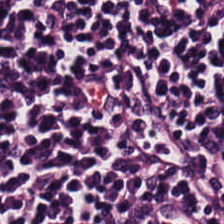Hematoxylin and eosin. Classification — lymphocytes.
